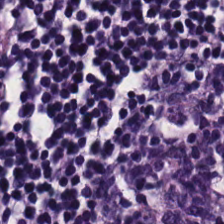Whole-slide-image patch. Hematoxylin and eosin. Classification — lymphocytes.
